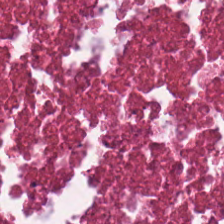H&E. FFPE tissue section — The tissue here is debris.
